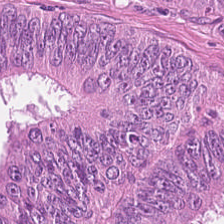Stain: H&E.
Tissue type: tumor epithelium.
